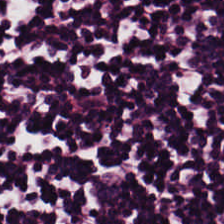0.5 µm/px · hematoxylin-and-eosin stained section — {"tissue_type": "lymphocytes"}
